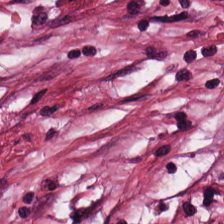Hematoxylin-and-eosin stained section · 224×224 px patch · WSI patch — The tissue type is tumor stroma.
